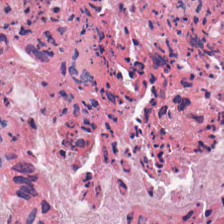H&E; 224×224 px tile. Tissue type = necrotic debris.
